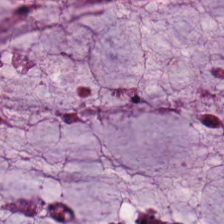H&E stain; 0.5 µm per pixel — Q: What does this patch show?
A: The field shows extracellular mucin.
